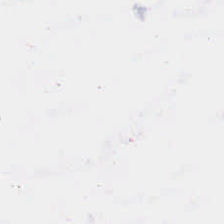0.5 microns per pixel; hematoxylin-and-eosin stained section — Q: Classify this patch.
A: The field shows empty background.
